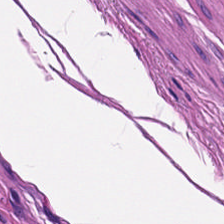H&E-stained tissue section. 224×224 px patch. Smooth-muscle tissue.
